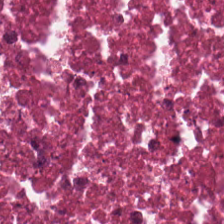Stain: hematoxylin-and-eosin stained section.
Tissue: necrotic debris.
